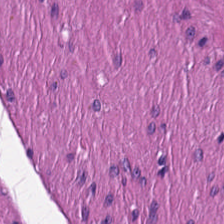Tissue class: muscularis.
